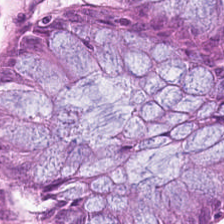Stain: H&E.
Preparation: formalin-fixed paraffin-embedded section.
Predominant tissue: non-neoplastic colon mucosa.
